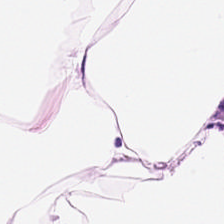Stain: hematoxylin and eosin.
Preparation: FFPE.
Classification: adipocytes.
